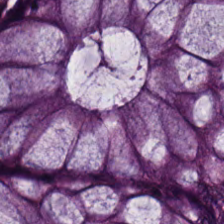H&E. Q: What tissue type is shown here?
A: Normal colon mucosa.
